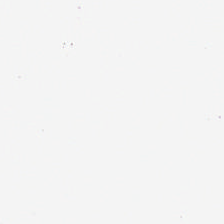Formalin-fixed paraffin-embedded section; H&E-stained tissue section; 0.5 µm per pixel — Background — no tissue in this field.
